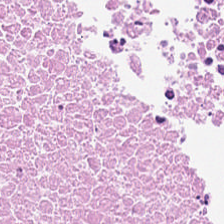H&E-stained tissue section — Debris.
